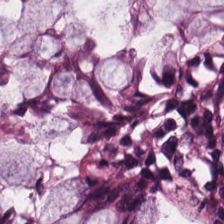Hematoxylin and eosin — Classification = normal colon mucosa.
